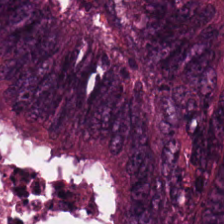H&E stain — Classification = adenocarcinoma.
